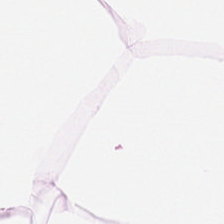Hematoxylin and eosin.
This patch shows fat tissue.
